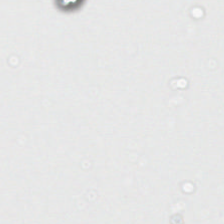H&E stain.
This field is background (no tissue).
